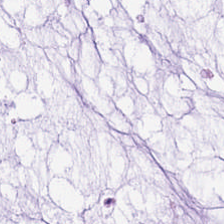Stain: hematoxylin-and-eosin stained section.
Resolution: 0.5 µm per pixel.
Tile size: 224×224 px tile.
Predominant tissue: mucin.
